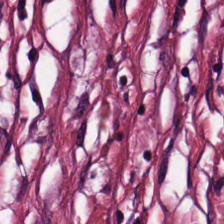Q: What does this patch show?
A: This is desmoplastic stroma.
